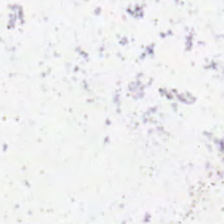Brightfield. H&E. 0.5 µm/px — Background — no tissue in this field.
